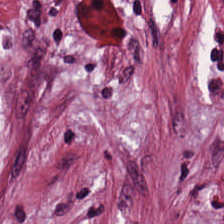{"tissue_type": "desmoplastic stroma"}
